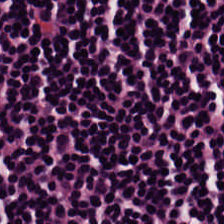H&E. WSI patch. 224×224 pixel tile — {"tissue_type": "lymphocyte aggregate"}
